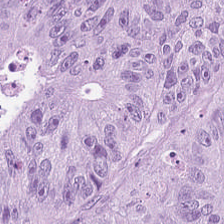Hematoxylin-and-eosin stained section — The tissue is adenocarcinoma.
